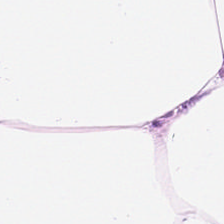H&E. {"tissue_type": "fat tissue"}
